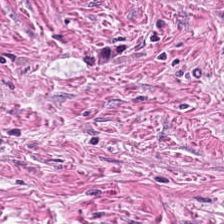FFPE. 224×224 pixel tile. H&E.
Q: Identify the tissue.
A: This is cancer-associated stroma.
